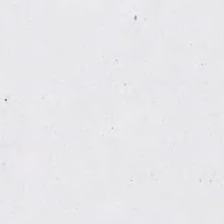Hematoxylin and eosin · 224×224 pixel tile · brightfield microscopy.
Q: What is shown in this field?
A: The field shows no tissue.
